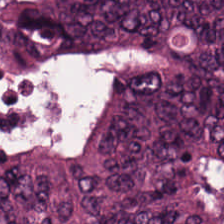0.5 µm/px. Brightfield microscopy. Hematoxylin-and-eosin stained section.
The predominant tissue is tumor epithelium.
